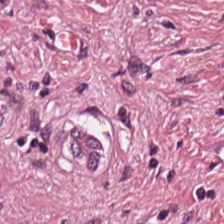H&E stain — The tissue here is desmoplastic stroma.
